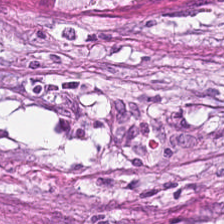Predominantly tumor-associated stroma.
